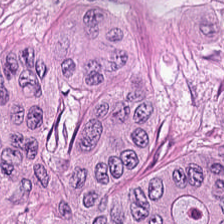Formalin-fixed paraffin-embedded section. H&E-stained tissue section. 0.5 µm per pixel — This patch shows adenocarcinoma.
